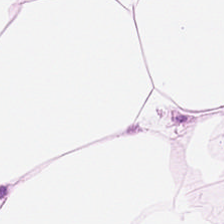H&E-stained tissue section showing adipocytes.
